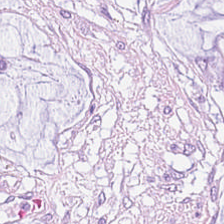Stain: hematoxylin-and-eosin stained section.
Resolution: 0.5 µm per pixel.
Tile size: 224×224 px tile.
Classification: extracellular mucin.
